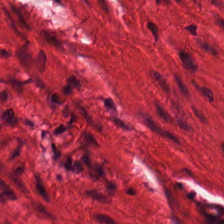H&E stain — Q: What is shown here?
A: This is smooth-muscle tissue.
